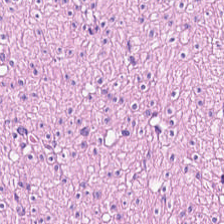Hematoxylin and eosin.
Tissue class: smooth muscle.
